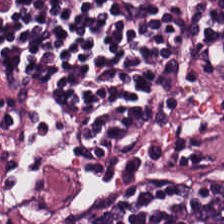224×224 pixel tile. H&E. 20× equivalent magnification — Tissue class — lymphocytes.
